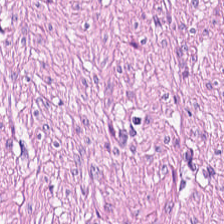Hematoxylin and eosin; 224×224 pixel tile. Q: What is the predominant tissue type?
A: It is smooth-muscle tissue.
